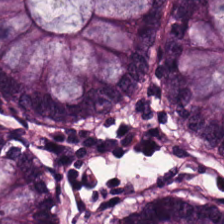Q: What tissue is shown?
A: The field shows benign colonic mucosa.
